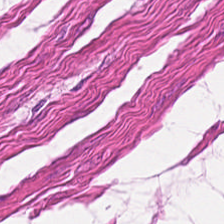Stain: H&E stain.
Resolution: 20× equivalent magnification.
Tile size: 224×224 px tile.
Tissue type: smooth muscle.
